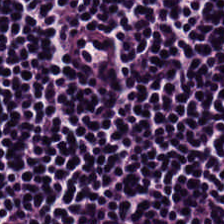H&E-stained tissue section. Predominantly lymphoid infiltrate.
